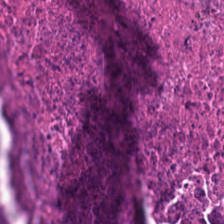Hematoxylin and eosin. The predominant tissue is cellular debris.
